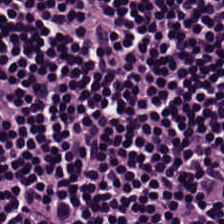Hematoxylin-and-eosin stained section. Impression — lymphocytes.
